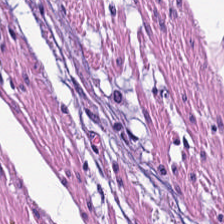H&E — Showing smooth-muscle tissue.
